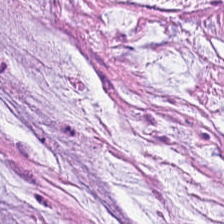Hematoxylin and eosin. Formalin-fixed paraffin-embedded section.
Showing mucin.
